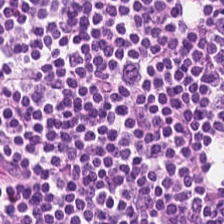H&E-stained tissue section.
Tissue type — lymphoid infiltrate.
